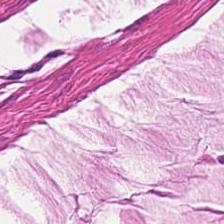H&E.
Q: Classify this patch.
A: This is smooth-muscle tissue.
